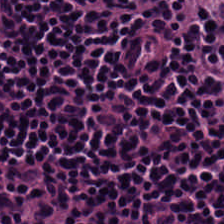Hematoxylin-and-eosin stained section.
Q: What tissue type is shown here?
A: Lymphoid infiltrate.
